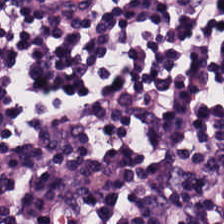Hematoxylin-and-eosin stained section. 0.5 µm per pixel. 224×224 px patch.
This field is lymphocyte aggregate.
